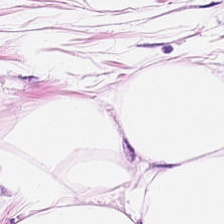H&E-stained section; the field shows fat tissue.
